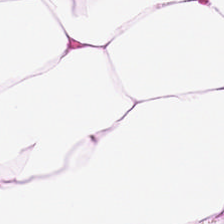224×224 pixel tile · brightfield · H&E-stained tissue section — Q: What type of tissue is this?
A: The field shows adipocytes.
